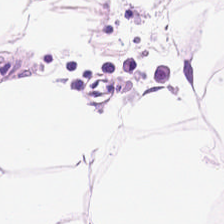H&E-stained tissue section; 224×224 px patch — Classification — adipocytes.
